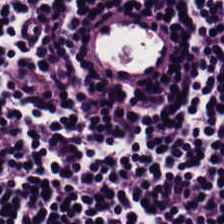0.5 microns per pixel; hematoxylin and eosin — The predominant tissue is lymphocytic infiltrate.
